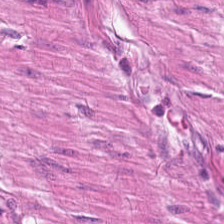FFPE tissue section. H&E stain. Smooth muscle.
